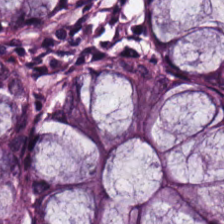Predominant tissue — non-neoplastic colon mucosa.
